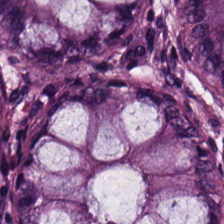224×224 px patch. Brightfield. Hematoxylin and eosin.
Predominantly normal colonic mucosa.
